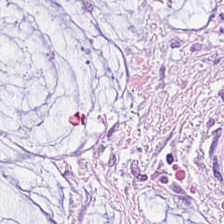H&E. Brightfield microscopy. 20× equivalent magnification.
The predominant tissue is mucin.
